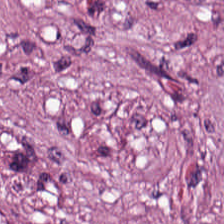0.5 µm/px. 224×224 px tile. H&E-stained tissue section. Impression → desmoplastic stroma.
